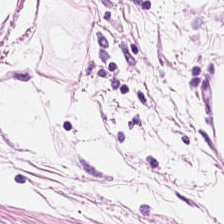Hematoxylin-and-eosin stained section. Q: What is shown here?
A: It is adipose tissue.
